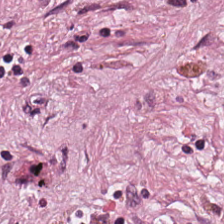224×224 pixel tile. Hematoxylin-and-eosin stained section. FFPE.
The tissue class is cancer-associated stroma.
